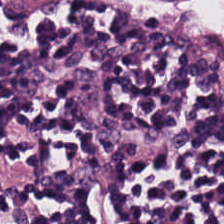Formalin-fixed paraffin-embedded section. Hematoxylin and eosin — {"tissue_type": "lymphocytic infiltrate"}
